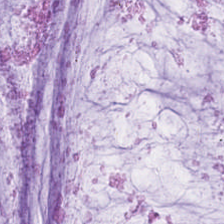FFPE tissue section · hematoxylin-and-eosin stained section · 0.5 microns per pixel — Finding → mucin.
